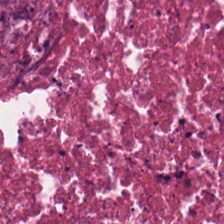H&E. The predominant tissue is necrotic debris.
